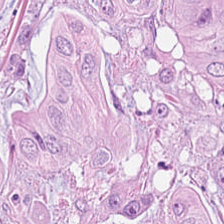Hematoxylin and eosin — The tissue is colorectal adenocarcinoma.
